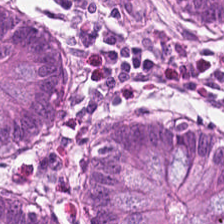0.5 microns per pixel; WSI patch; H&E.
The predominant tissue is normal colon mucosa.
